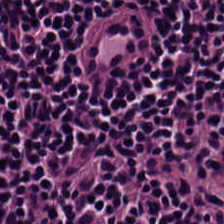H&E stain — Lymphocyte aggregate.
